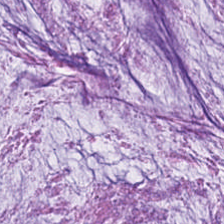224×224 px tile. Hematoxylin and eosin — Mucin.
